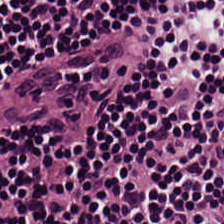This patch shows lymphocyte aggregate.
